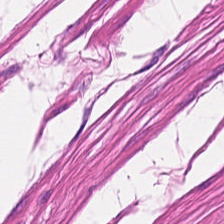H&E — muscularis.
